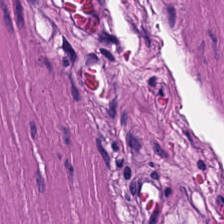WSI patch · H&E-stained tissue section · 224×224 px tile. Tissue class = smooth muscle.
